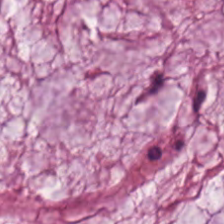The predominant tissue is extracellular mucin.
